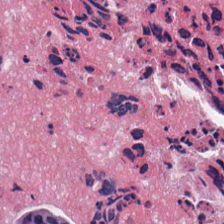Hematoxylin-and-eosin stained section.
Predominantly cellular debris.
